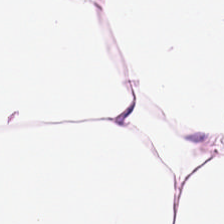Stain: hematoxylin and eosin.
Preparation: formalin-fixed paraffin-embedded section.
Classification: adipose tissue.
